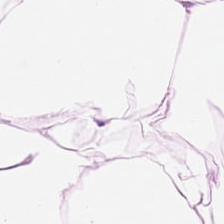H&E; FFPE tissue section — Q: What type of tissue is this?
A: Adipocytes.
